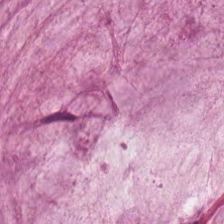Hematoxylin-and-eosin stained section — The predominant tissue is mucus.
